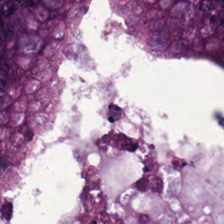Hematoxylin and eosin. The tissue here is colorectal adenocarcinoma epithelium.
